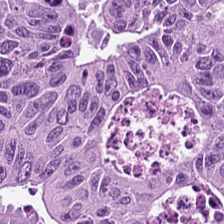Hematoxylin and eosin; brightfield microscopy. Showing colorectal adenocarcinoma epithelium.
